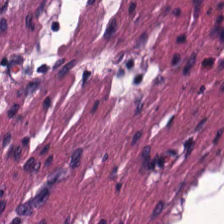Hematoxylin-and-eosin stained section.
Histology — muscularis.
